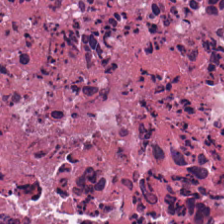H&E. Whole-slide-image patch — This patch shows cellular debris.
